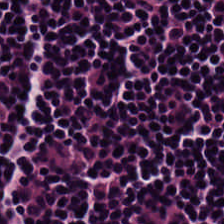H&E stain. WSI patch. Predominantly lymphoid infiltrate.
